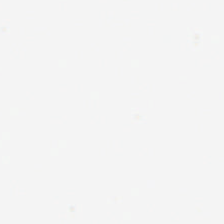Q: What is shown here?
A: Empty background.
